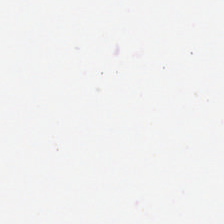H&E stain.
This field is background (no tissue).
